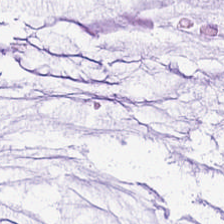Hematoxylin-and-eosin stained section · 0.5 microns per pixel · 224×224 px patch. Q: What does this patch show?
A: This is mucus.
